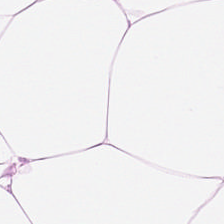Hematoxylin and eosin — This field is adipocytes.
